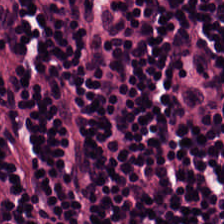Hematoxylin and eosin. Lymphoid infiltrate.
